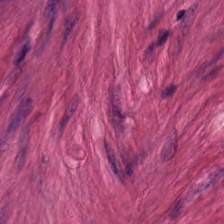Hematoxylin and eosin — Q: What tissue is shown?
A: It is smooth-muscle tissue.
